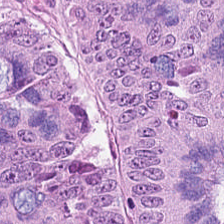H&E. FFPE tissue section — Q: What tissue type is shown here?
A: This is malignant epithelium.
